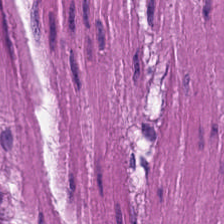Brightfield microscopy · hematoxylin-and-eosin stained section · 0.5 microns per pixel.
Impression — smooth-muscle tissue.
